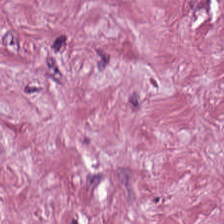0.5 µm per pixel. H&E stain. Q: What type of tissue is this?
A: The field shows tumor stroma.
